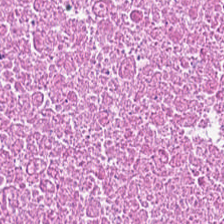0.5 µm/px · hematoxylin and eosin. Finding → cellular debris.
